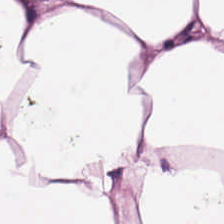0.5 µm per pixel. Hematoxylin and eosin.
This field is fat tissue.
